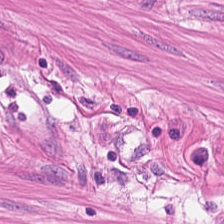WSI patch · H&E · FFPE tissue section — Tissue = smooth-muscle tissue.
